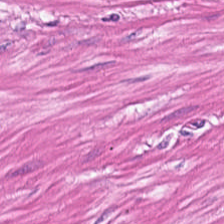The tissue class is smooth muscle.
